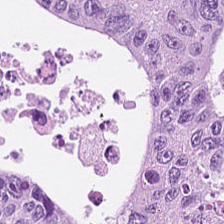Hematoxylin and eosin · brightfield microscopy — Showing tumor epithelium.
